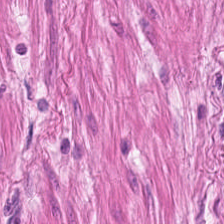20× equivalent magnification; FFPE tissue section; H&E. This patch shows smooth-muscle tissue.
